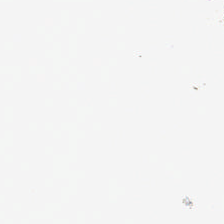Content — background (no tissue).
